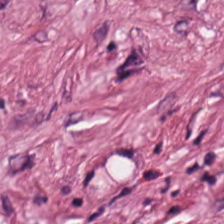0.5 microns per pixel · H&E stain.
The tissue here is tumor stroma.
